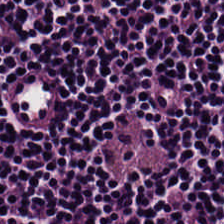H&E.
Q: Identify the tissue.
A: This is lymphocytic infiltrate.
